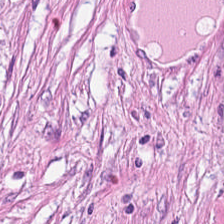Hematoxylin and eosin. This patch shows tumor-associated stroma.
